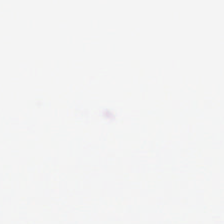Hematoxylin-and-eosin stained section — Q: What does this patch show?
A: It is no tissue.
